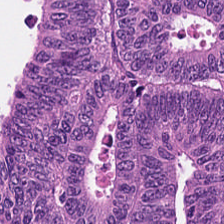Hematoxylin and eosin. Predominantly tumor epithelium.
